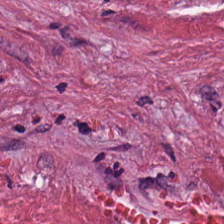H&E stain. This field is tumor stroma.
